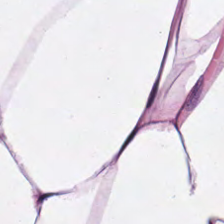Stain: hematoxylin and eosin.
Predominant tissue: fat tissue.
